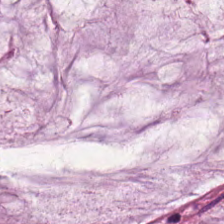Hematoxylin-and-eosin stained section. WSI patch.
Tissue — mucin.
